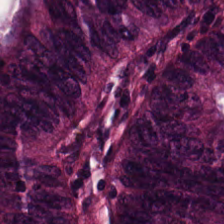Stain: H&E-stained tissue section.
Resolution: 0.5 µm/px.
Tissue: adenocarcinoma.
